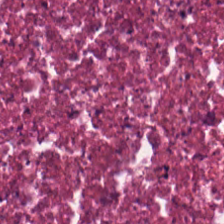0.5 microns per pixel. Hematoxylin and eosin.
Tissue class — necrotic debris.
